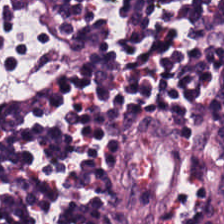H&E · 224×224 pixel tile.
Q: Identify the tissue.
A: It is lymphocytic infiltrate.
